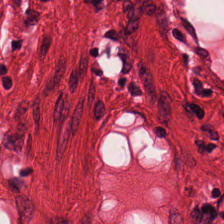Hematoxylin-and-eosin stained section. The tissue here is muscularis.
